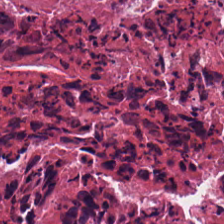The tissue here is debris.
